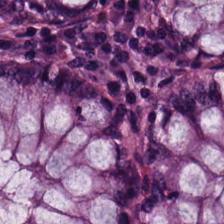Hematoxylin and eosin · formalin-fixed paraffin-embedded section · 224×224 px tile — Tissue class = normal colonic mucosa.
